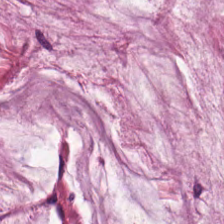H&E-stained tissue section showing mucus.
